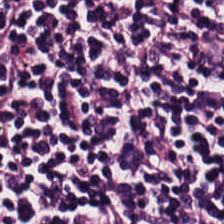Hematoxylin and eosin.
Impression → lymphocytes.
